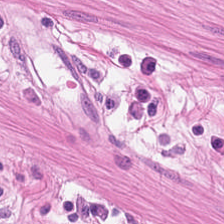H&E stain. 0.5 µm/px. The predominant tissue is muscularis.
